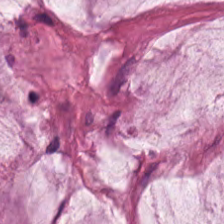Stain: H&E.
Predominant tissue: mucus.
